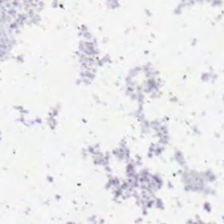224×224 px tile · H&E stain — This field is background (no tissue).
